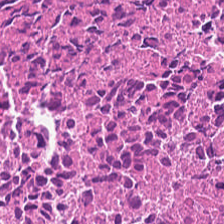0.5 microns per pixel; hematoxylin-and-eosin stained section; WSI patch.
Predominantly debris.
